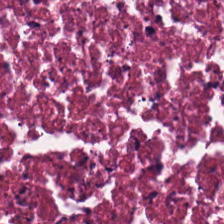Hematoxylin-and-eosin stained section.
Impression → debris.
